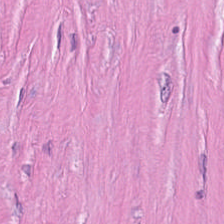Hematoxylin-and-eosin stained section.
Q: What type of tissue is this?
A: It is cancer-associated stroma.
